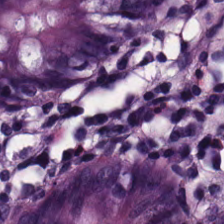Hematoxylin and eosin. Impression — benign colonic mucosa.
